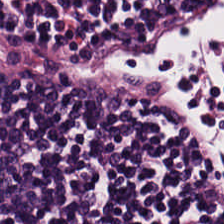H&E-stained tissue section. {"tissue_type": "lymphocytes"}
